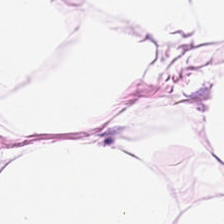H&E stain.
This patch shows adipose tissue.
